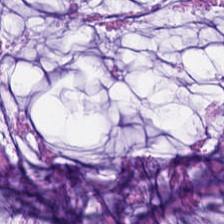{"tissue_type": "extracellular mucin"}
